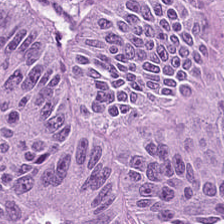224×224 px patch. Hematoxylin and eosin.
Q: Identify the tissue.
A: The field shows colorectal adenocarcinoma.
